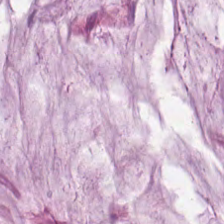224×224 px tile. Hematoxylin and eosin. The predominant tissue is mucus.
